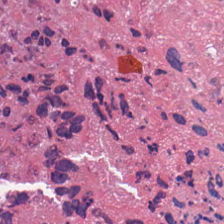Stain: hematoxylin and eosin.
Tissue type: debris.
